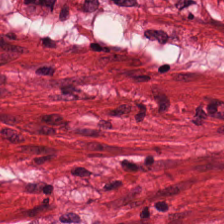Whole-slide-image patch. H&E-stained tissue section. 224×224 pixel tile — {"tissue_type": "smooth muscle"}
